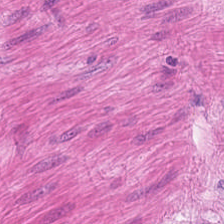H&E-stained tissue section — Showing smooth muscle.
